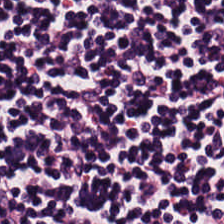H&E-stained tissue section · 224×224 px tile · WSI patch — Impression → lymphoid infiltrate.
